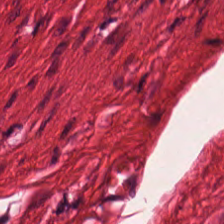Hematoxylin and eosin.
Predominant tissue = smooth-muscle tissue.
